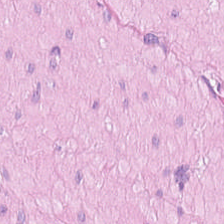H&E. FFPE tissue section. Predominantly smooth-muscle tissue.
